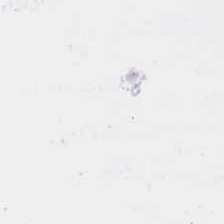H&E. 224×224 px tile. FFPE tissue section. Histology — background.
